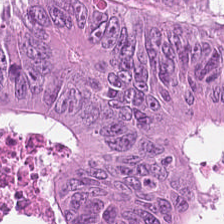Hematoxylin-and-eosin stained section — The predominant tissue is tumor epithelium.
